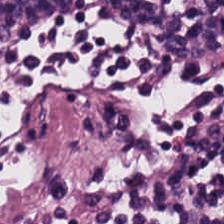H&E-stained tissue section — The tissue here is lymphocytic infiltrate.
